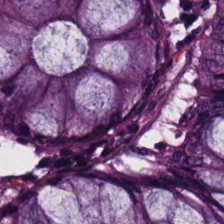224×224 px patch · H&E-stained tissue section · brightfield.
The tissue is normal colonic mucosa.
